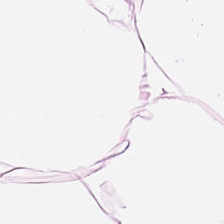Adipose tissue.
